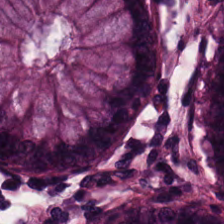Formalin-fixed paraffin-embedded section. Hematoxylin and eosin — Q: What type of tissue is this?
A: This is non-neoplastic colon mucosa.
